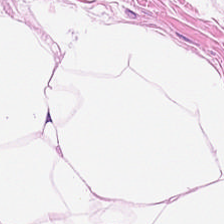H&E · 224×224 px patch.
The classification is fat tissue.
